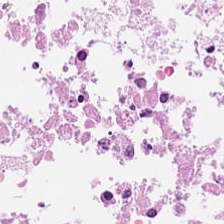Hematoxylin and eosin.
Impression → debris.
